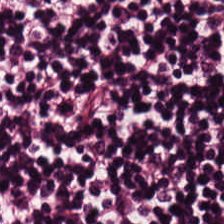H&E · 0.5 microns per pixel. Histology → lymphocytic infiltrate.
